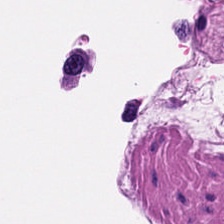Whole-slide-image patch. H&E stain. Histology → muscularis.
